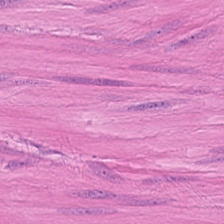Hematoxylin and eosin. Predominantly muscularis.
